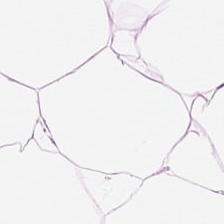224×224 pixel tile · hematoxylin and eosin · 0.5 microns per pixel.
Classification — adipocytes.
